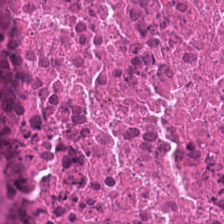0.5 µm per pixel. H&E stain. WSI patch.
The tissue type is necrotic debris.
